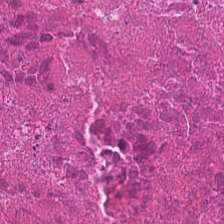Predominantly necrotic debris.
